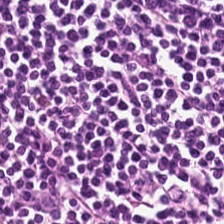H&E.
Lymphocytic infiltrate.
